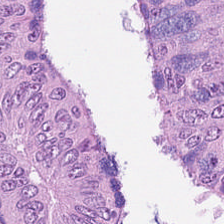H&E stain · 0.5 µm per pixel.
Q: What type of tissue is this?
A: It is adenocarcinoma.
